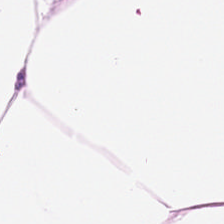Predominant tissue — adipose.
